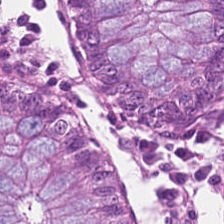The tissue here is normal colon mucosa.
